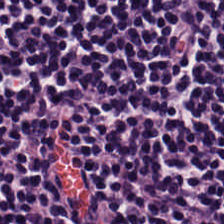H&E stain · brightfield. The tissue here is lymphocytes.
